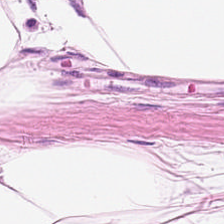H&E — Q: Classify this patch.
A: The field shows adipocytes.
